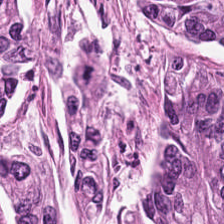Hematoxylin and eosin — Histology → tumor epithelium.
